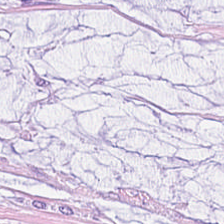Histology → mucus.
